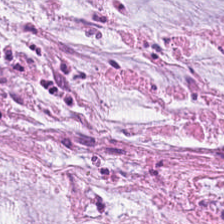Q: What tissue is shown?
A: The field shows mucin.
